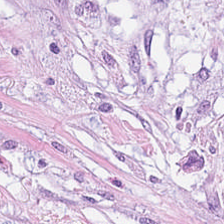20× equivalent magnification; hematoxylin and eosin — Q: Identify the tissue.
A: Mucin.
